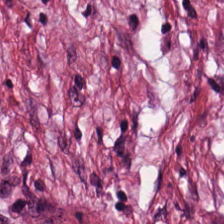{"tissue_type": "tumor stroma"}
